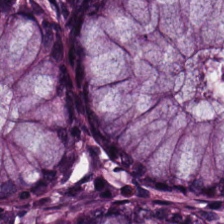Predominant tissue: normal colonic mucosa.
